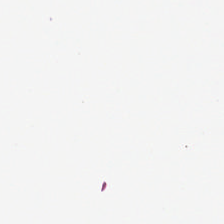20× equivalent magnification; hematoxylin-and-eosin stained section; formalin-fixed paraffin-embedded section — Field content: empty background.
